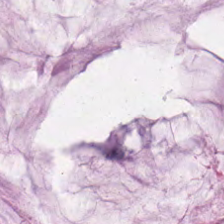H&E-stained tissue section. Tissue type — mucin.
